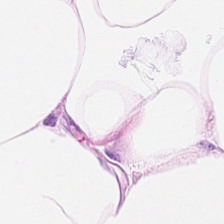0.5 µm/px; hematoxylin-and-eosin stained section — Tissue = fat tissue.
